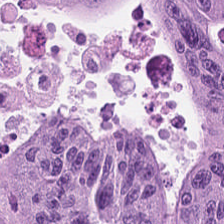Hematoxylin and eosin · formalin-fixed paraffin-embedded section — Q: What is shown here?
A: The field shows adenocarcinoma.
